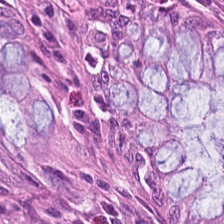Hematoxylin-and-eosin stained section. {"tissue_type": "normal colon mucosa"}
